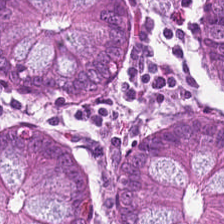H&E-stained tissue section.
The tissue class is benign colonic mucosa.
